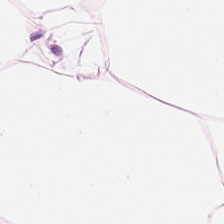FFPE · brightfield · hematoxylin and eosin — The predominant tissue is adipose.
